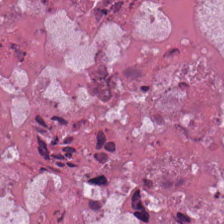Hematoxylin and eosin.
Predominantly debris.
